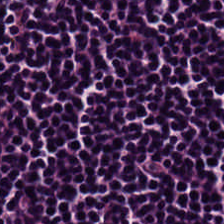Hematoxylin and eosin.
Showing lymphoid infiltrate.
